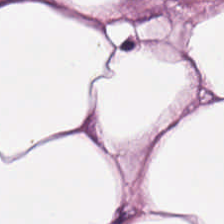Tissue type — adipose.
